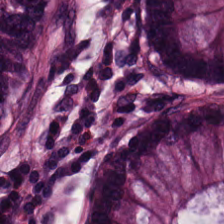H&E — Q: Classify this patch.
A: This is non-neoplastic colon mucosa.
